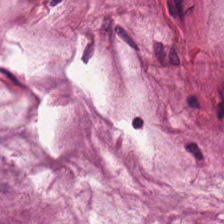H&E. Predominantly mucus.
